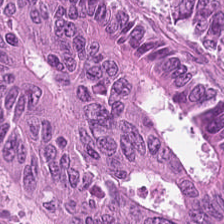Hematoxylin-and-eosin stained section; brightfield — Tumor epithelium.
